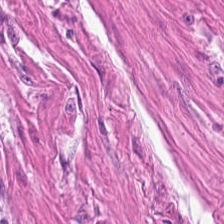Hematoxylin and eosin — This patch shows smooth-muscle tissue.
